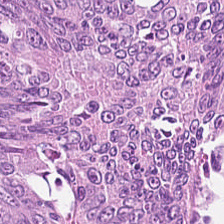224×224 px tile; H&E-stained tissue section. Q: What tissue is shown?
A: The field shows malignant epithelium.
